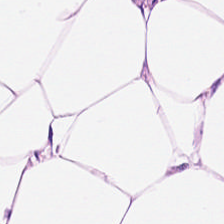The tissue here is adipocytes.
